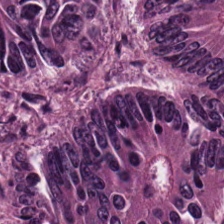Stain: H&E stain.
Tile size: 224×224 px tile.
Classification: malignant epithelium.
